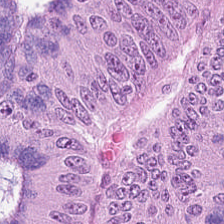H&E. The predominant tissue is colorectal adenocarcinoma.
